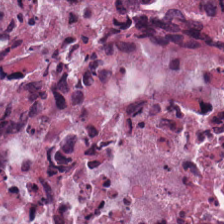H&E-stained tissue section — Finding → cellular debris.
